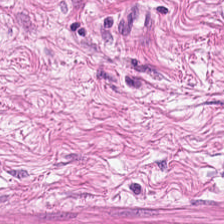Hematoxylin-and-eosin stained section — Tissue — muscularis.
